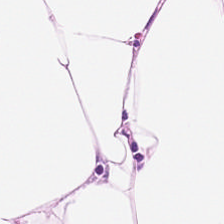Stain: H&E.
Acquisition: brightfield microscopy.
Predominant tissue: adipose tissue.
